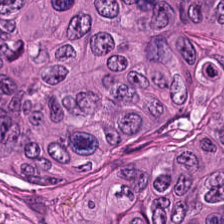Hematoxylin-and-eosin stained section. The tissue here is malignant epithelium.
